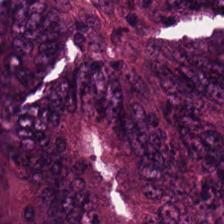0.5 microns per pixel; formalin-fixed paraffin-embedded section; H&E stain. This patch shows adenocarcinoma.
